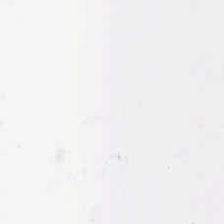No tissue present; background only.
